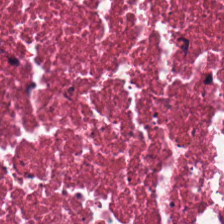Tissue type: debris.
